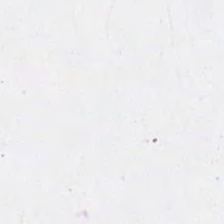No tissue present; background only.
